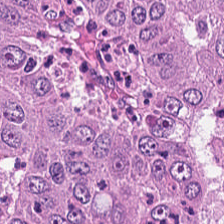Stain: hematoxylin and eosin.
Resolution: 20× equivalent magnification.
Tissue type: adenocarcinoma.
